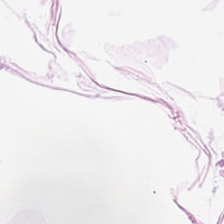H&E stain · whole-slide-image patch · 0.5 microns per pixel. Adipose.
